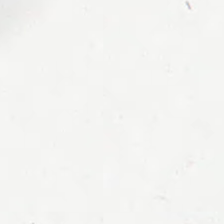Classification = empty background.
